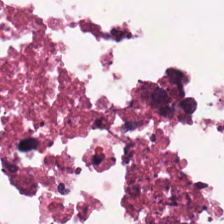Impression → cellular debris.
